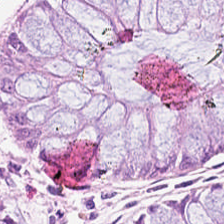Hematoxylin-and-eosin stained section · 0.5 µm/px · FFPE tissue section. {"tissue_type": "normal colon mucosa"}
